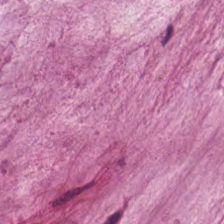H&E · whole-slide-image patch · 0.5 µm per pixel — Predominant tissue: extracellular mucin.
